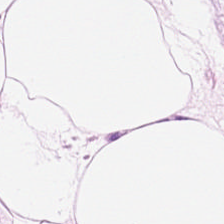H&E-stained tissue section · formalin-fixed paraffin-embedded section · 224×224 pixel tile. The predominant tissue is fat tissue.
